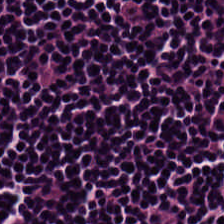Formalin-fixed paraffin-embedded section. Hematoxylin-and-eosin stained section. 224×224 px tile.
Predominantly lymphocytes.
